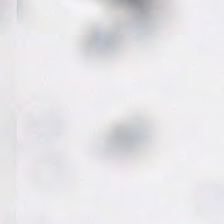H&E stain.
Content = no tissue.
